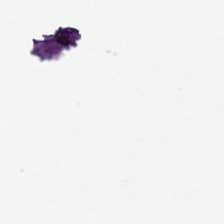FFPE. Hematoxylin-and-eosin stained section. 0.5 µm/px.
The content is background.
